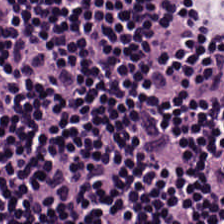H&E-stained tissue section.
This patch shows lymphocytic infiltrate.
